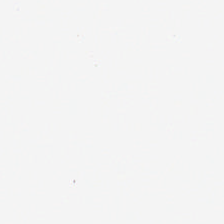Hematoxylin-and-eosin stained section — This patch shows no tissue.
